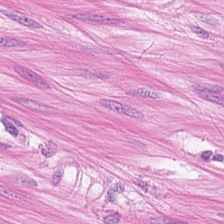H&E stain. This patch shows smooth-muscle tissue.
